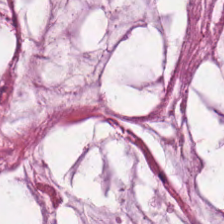224×224 pixel tile. FFPE tissue section. Hematoxylin and eosin. The tissue here is extracellular mucin.
